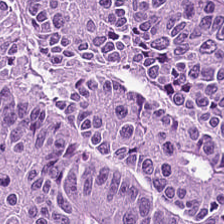Stain: H&E stain.
Classification: tumor epithelium.
